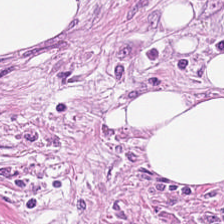{"tissue_type": "desmoplastic stroma"}
